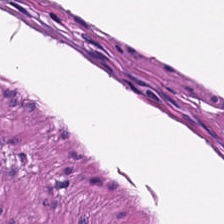Stain: H&E.
Classification: muscularis.
